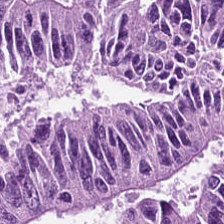FFPE tissue section; H&E; 224×224 px patch — Predominant tissue: adenocarcinoma.
